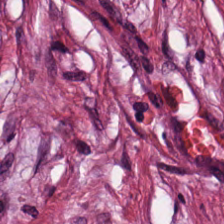Hematoxylin and eosin — Predominantly desmoplastic stroma.
